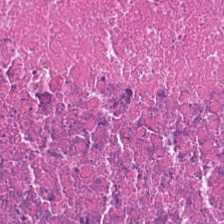{"tissue_type": "cellular debris"}
